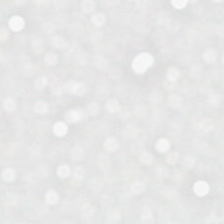Stain: hematoxylin and eosin.
Preparation: FFPE tissue section.
Field content: no tissue.
